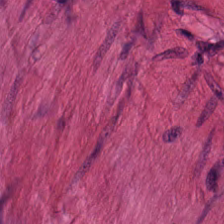H&E-stained tissue section.
This field is smooth-muscle tissue.
